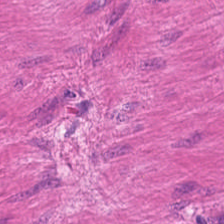FFPE · H&E stain — This field is smooth muscle.
